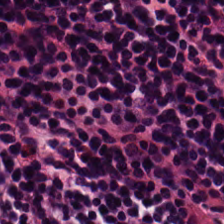H&E-stained tissue section. Lymphoid infiltrate.
